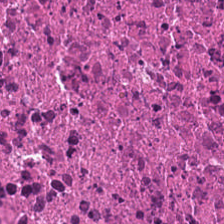Stain: hematoxylin-and-eosin stained section.
Predominant tissue: necrotic debris.
